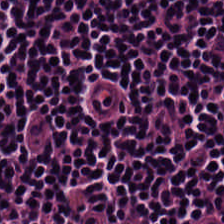Hematoxylin and eosin; FFPE tissue section — Q: What tissue is shown?
A: The field shows lymphocyte aggregate.
